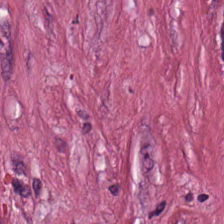Hematoxylin-and-eosin stained section; 0.5 µm/px; FFPE tissue section — This field is desmoplastic stroma.
